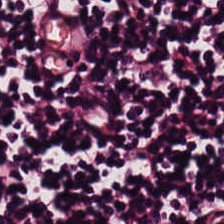224×224 px patch; H&E-stained tissue section. Histology — lymphocyte aggregate.
